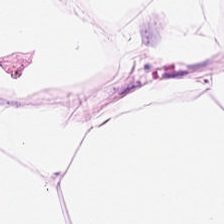Q: What is shown here?
A: Fat tissue.
